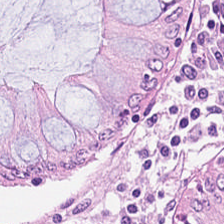Whole-slide-image patch. H&E-stained tissue section. 224×224 pixel tile.
Q: What type of tissue is this?
A: This is normal colonic mucosa.
